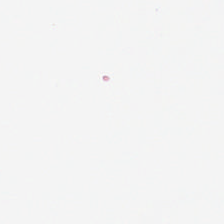H&E-stained tissue section. Classification = empty background.
